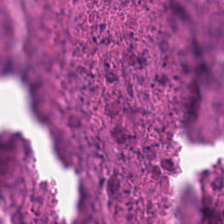Hematoxylin and eosin — Q: What type of tissue is this?
A: It is necrotic debris.
